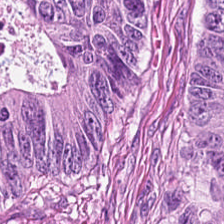0.5 µm per pixel. H&E stain — The tissue here is adenocarcinoma.
